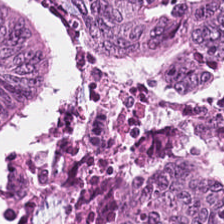Hematoxylin and eosin — The tissue here is colorectal adenocarcinoma epithelium.
